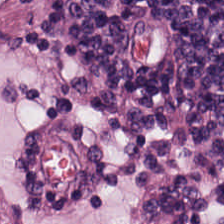Showing lymphocytes.
